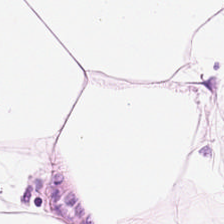H&E stain · WSI patch · 224×224 px patch — This field is adipose tissue.
